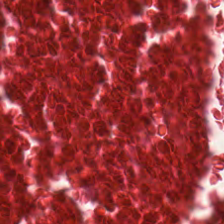Hematoxylin and eosin.
Tissue — debris.
